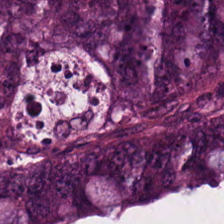H&E-stained tissue section. The tissue here is malignant epithelium.
